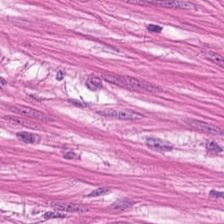H&E — Smooth muscle.
